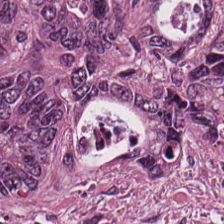H&E · 20× equivalent magnification — Finding — colorectal adenocarcinoma.
